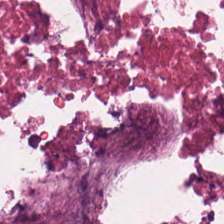H&E.
Finding — debris.
